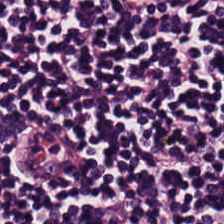Stain: H&E.
Preparation: FFPE.
Resolution: 0.5 µm per pixel.
Tissue class: lymphoid infiltrate.
